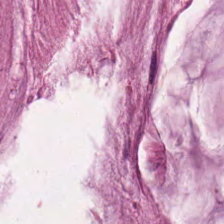H&E. The tissue type is mucus.
